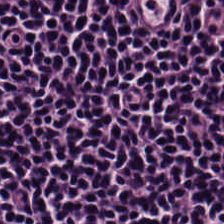Hematoxylin-and-eosin stained section · 224×224 px tile.
Q: What is shown in this field?
A: The field shows lymphocyte aggregate.
